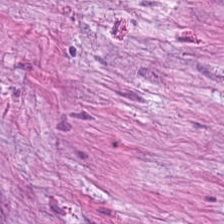Hematoxylin and eosin — Tissue class: tumor-associated stroma.
